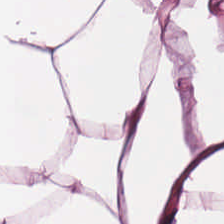H&E stain.
This field is adipose.
